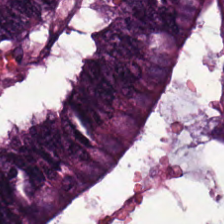H&E-stained tissue section — The predominant tissue is colorectal adenocarcinoma.
